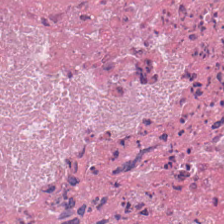H&E patch showing debris.
